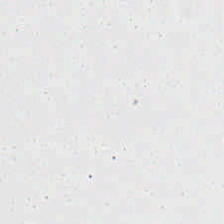Hematoxylin-and-eosin stained section.
Q: Classify this patch.
A: It is no tissue.
